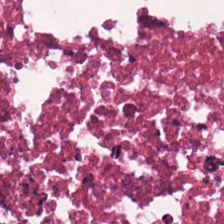Hematoxylin and eosin. Formalin-fixed paraffin-embedded section.
Predominantly debris.
